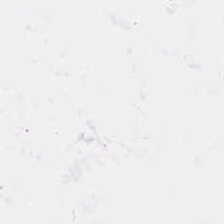Histology — no tissue.
